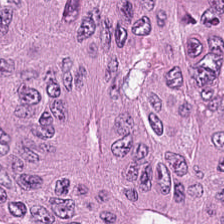Hematoxylin and eosin. Q: What tissue type is shown here?
A: Adenocarcinoma.
